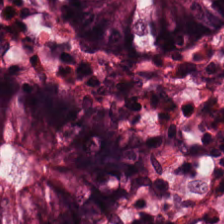Stain: H&E stain.
Tissue type: non-neoplastic colon mucosa.
